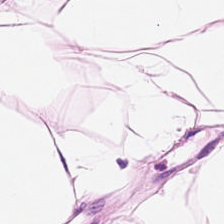Hematoxylin and eosin; brightfield — Classification: adipose.
